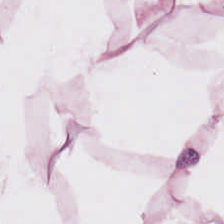The predominant tissue is adipocytes.
